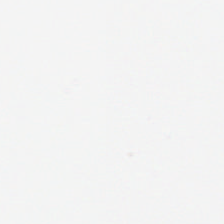Brightfield microscopy; FFPE; hematoxylin-and-eosin stained section.
No tissue present; background only.
